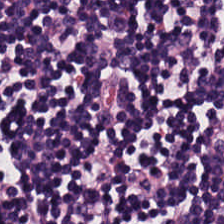224×224 px patch. Hematoxylin and eosin. 0.5 microns per pixel — Tissue class — lymphocytes.
